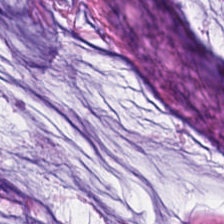H&E-stained section; the field shows extracellular mucin.
